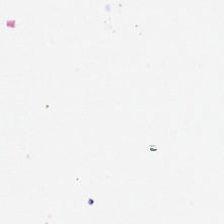H&E-stained tissue section — This patch shows no tissue.
